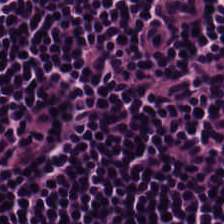H&E — Q: What type of tissue is this?
A: The field shows lymphocytes.
